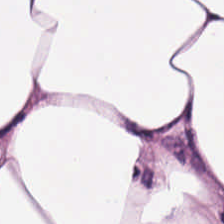H&E-stained tissue section · brightfield. Classification — fat tissue.
